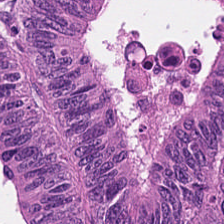Classification — tumor epithelium.
